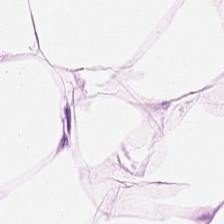224×224 pixel tile; H&E; formalin-fixed paraffin-embedded section — Predominant tissue = adipose tissue.
